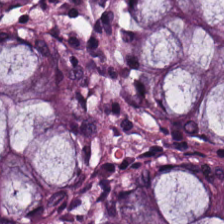H&E stain. 224×224 px patch. This field is normal colonic mucosa.
